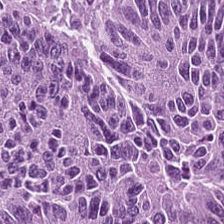H&E-stained tissue section; 224×224 px patch — Impression → colorectal adenocarcinoma epithelium.
